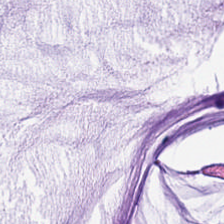0.5 microns per pixel. Hematoxylin and eosin. The tissue here is mucin.
